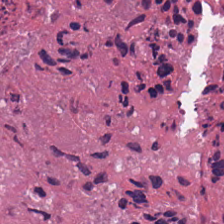Hematoxylin and eosin. Tissue = cellular debris.
